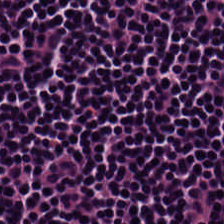H&E.
This patch shows lymphocyte aggregate.
